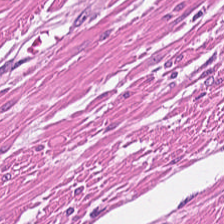Hematoxylin and eosin. Classification = smooth muscle.
